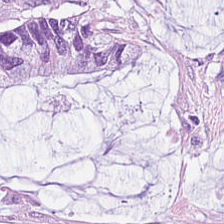H&E stain. Tissue class — mucus.
